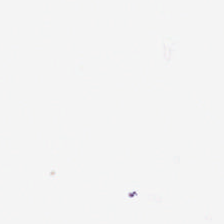H&E; brightfield microscopy. Classification — background (no tissue).
